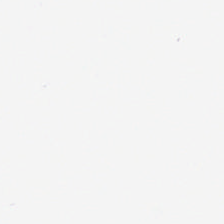Stain: hematoxylin and eosin.
Content: empty background.
